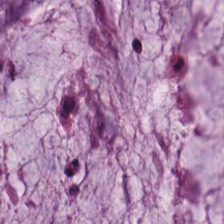0.5 microns per pixel · H&E · FFPE — Predominant tissue: mucus.
